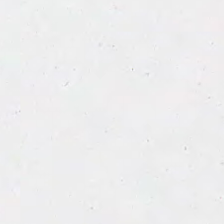Hematoxylin-and-eosin stained section · 224×224 px patch · whole-slide-image patch.
Q: Classify this patch.
A: The field shows empty background.
